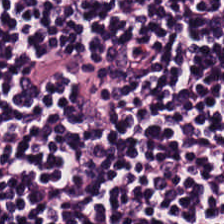Stain: H&E.
Tissue class: lymphocyte aggregate.
